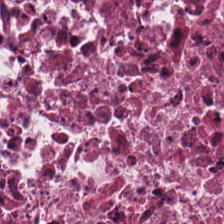The tissue type is debris.
